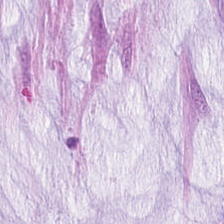0.5 µm/px · hematoxylin and eosin · 224×224 px patch — Predominantly extracellular mucin.
